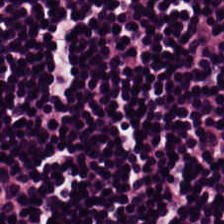H&E.
Finding → lymphocytic infiltrate.
